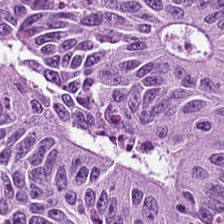H&E. Q: What is the predominant tissue type?
A: The field shows adenocarcinoma.
